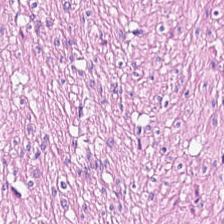H&E-stained tissue section · 20× equivalent magnification · brightfield microscopy. This patch shows smooth-muscle tissue.
